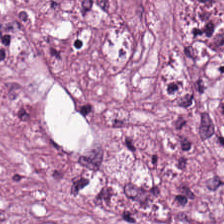Q: What is shown in this field?
A: It is tumor stroma.
